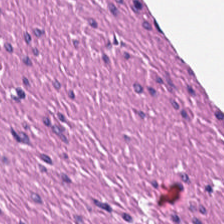H&E stain — Q: Identify the tissue.
A: This is smooth muscle.
